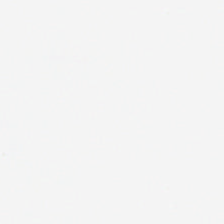H&E; WSI patch — No tissue present; background only.
